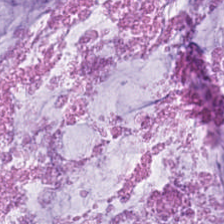20× equivalent magnification · hematoxylin-and-eosin stained section — Showing mucus.
